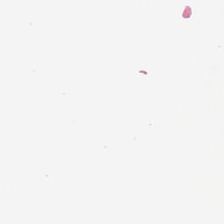H&E. Background — no tissue in this field.
